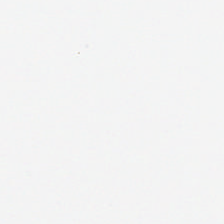H&E stain; FFPE; brightfield.
This patch shows background (no tissue).
